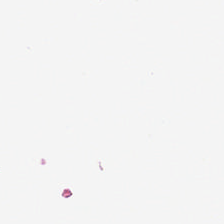Stain: hematoxylin and eosin.
Acquisition: whole-slide-image patch.
Preparation: FFPE tissue section.
Field content: no tissue.
